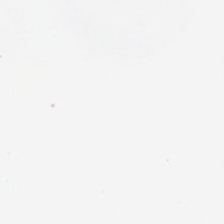FFPE tissue section · H&E stain. Empty field — no tissue.
